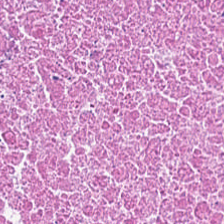Hematoxylin-and-eosin stained section · brightfield · FFPE tissue section — Showing necrotic debris.
